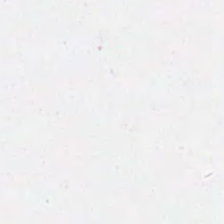H&E · 224×224 px patch — This field is background (no tissue).
